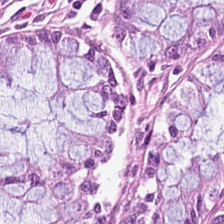H&E — benign colonic mucosa.
